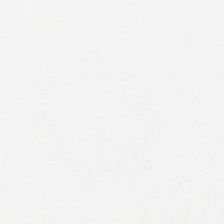224×224 pixel tile · H&E-stained tissue section. This patch shows background (no tissue).
